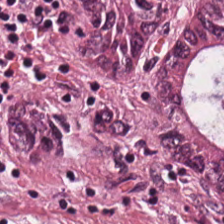H&E stain.
Q: What is shown in this field?
A: It is colorectal adenocarcinoma epithelium.
